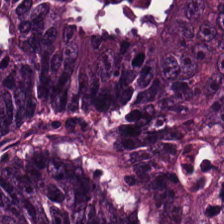Hematoxylin-and-eosin section: colorectal adenocarcinoma epithelium.
